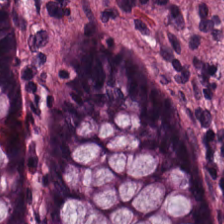H&E — Q: What tissue is shown?
A: The field shows non-neoplastic colon mucosa.
